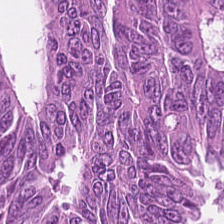Hematoxylin-and-eosin stained section · 20× equivalent magnification.
{"tissue_type": "colorectal adenocarcinoma"}
